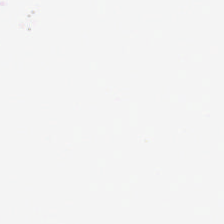H&E stain.
Content = background (no tissue).
